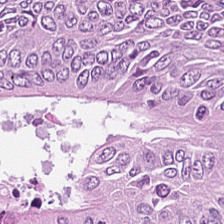H&E stain.
The predominant tissue is tumor epithelium.
